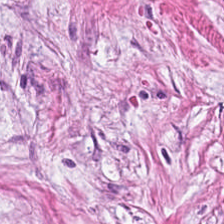0.5 µm/px; H&E stain; brightfield microscopy — Tissue — cancer-associated stroma.
